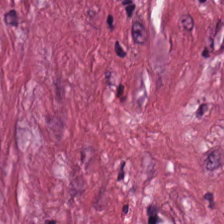Stain: H&E-stained tissue section.
Predominant tissue: tumor stroma.
